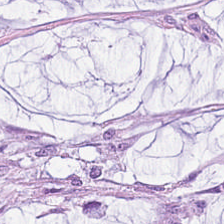Hematoxylin-and-eosin stained section.
Tissue: extracellular mucin.
